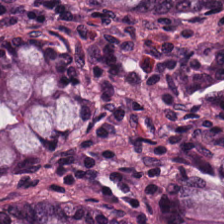H&E stain.
This field is non-neoplastic colon mucosa.
